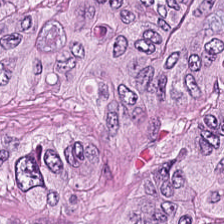Stain: H&E stain.
Resolution: 0.5 microns per pixel.
Classification: malignant epithelium.
